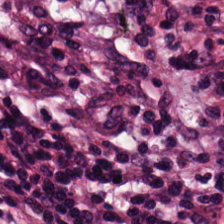Stain: hematoxylin and eosin.
Classification: tumor-associated stroma.
